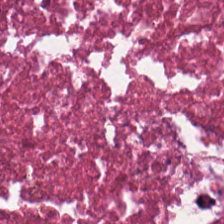Brightfield; H&E stain; 224×224 px tile — Predominant tissue = debris.
